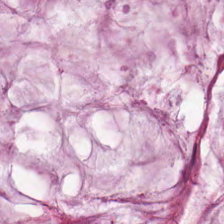H&E-stained tissue section.
Tissue class: mucin.
